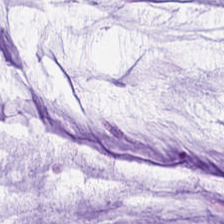20× equivalent magnification · H&E stain. {"tissue_type": "extracellular mucin"}
